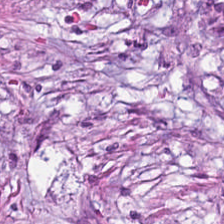Cancer-associated stroma.
